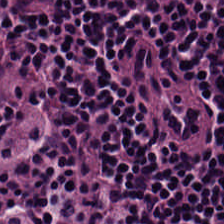Stain: H&E-stained tissue section.
Classification: lymphocyte aggregate.
